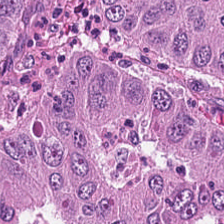Q: What type of tissue is this?
A: Colorectal adenocarcinoma.
